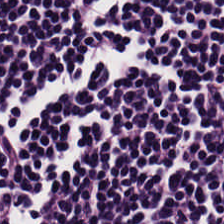Tissue: lymphocyte aggregate.
